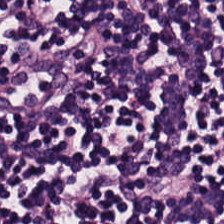H&E stain — Lymphocytic infiltrate.
